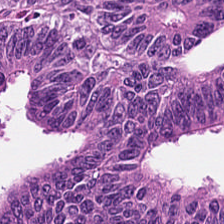The tissue here is colorectal adenocarcinoma epithelium.
